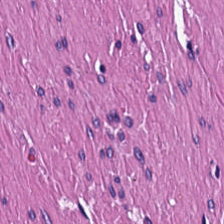Stain: hematoxylin and eosin.
Preparation: FFPE tissue section.
Tissue: smooth muscle.
